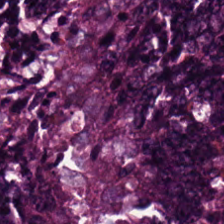H&E-stained tissue section. Whole-slide-image patch. Tissue class = malignant epithelium.
